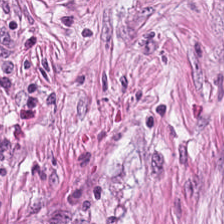H&E.
The predominant tissue is desmoplastic stroma.
